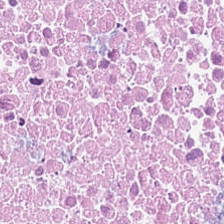Hematoxylin and eosin. The predominant tissue is cellular debris.
